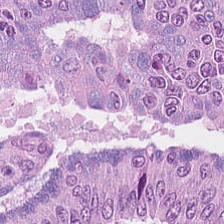H&E-stained tissue section.
Q: What tissue type is shown here?
A: This is colorectal adenocarcinoma epithelium.
